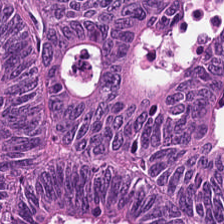H&E-stained tissue section · 0.5 µm/px.
The predominant tissue is colorectal adenocarcinoma.
